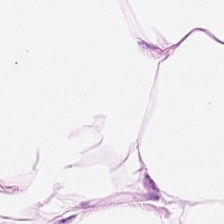Hematoxylin-and-eosin stained section. Tissue type = adipose tissue.
